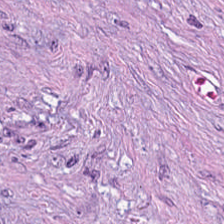Tissue — cancer-associated stroma.
